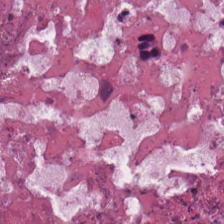Hematoxylin-and-eosin stained section. The predominant tissue is cellular debris.
